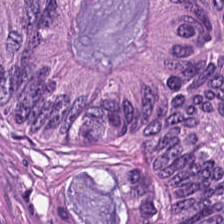Brightfield. H&E.
Predominant tissue: adenocarcinoma.
